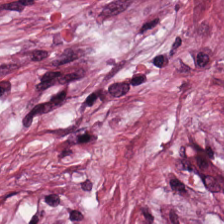Predominant tissue = desmoplastic stroma.
